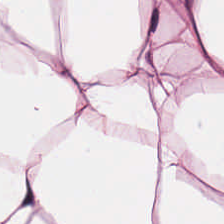H&E stain — Predominantly adipocytes.
